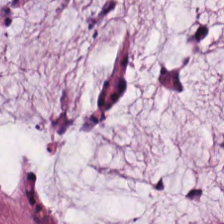Brightfield microscopy. H&E-stained tissue section. The tissue here is extracellular mucin.
